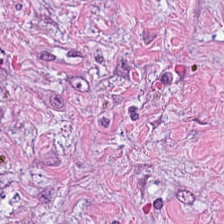Hematoxylin-and-eosin stained section.
The predominant tissue is tumor stroma.
